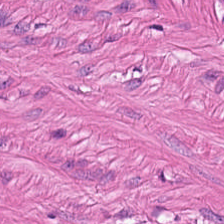FFPE · hematoxylin and eosin · 224×224 px patch.
Classification — smooth muscle.
